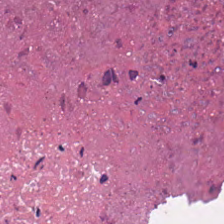H&E-stained tissue section. {"tissue_type": "necrotic debris"}
